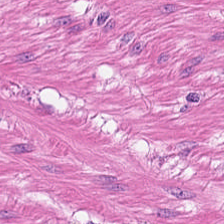H&E stain. Showing smooth muscle.
